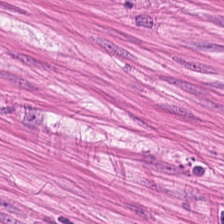H&E stain.
Q: Identify the tissue.
A: The field shows smooth muscle.
